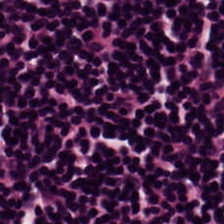This field is lymphocyte aggregate.
